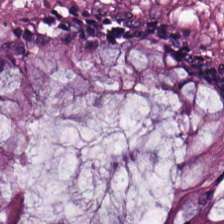H&E-stained section; the field shows normal colon mucosa.
